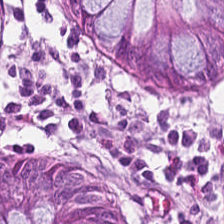224×224 pixel tile. H&E-stained tissue section — {"tissue_type": "normal colonic mucosa"}
